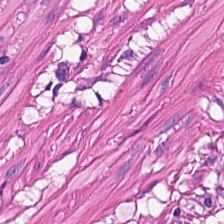Brightfield microscopy; H&E stain. Q: What is shown in this field?
A: Smooth muscle.
